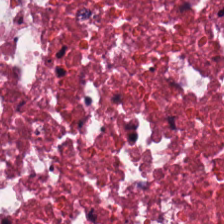Hematoxylin-and-eosin stained section — Predominantly cellular debris.
